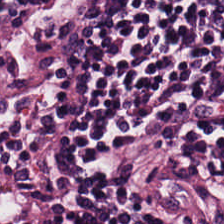H&E.
Histology — lymphocytes.
